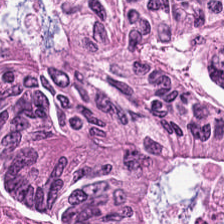Hematoxylin-and-eosin stained section. Classification — malignant epithelium.
